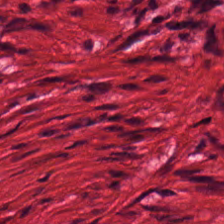224×224 pixel tile. Hematoxylin-and-eosin stained section. Formalin-fixed paraffin-embedded section.
Predominantly smooth-muscle tissue.
